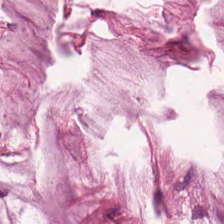H&E stain · FFPE tissue section — This field is extracellular mucin.
